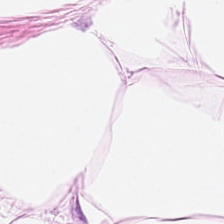Hematoxylin-and-eosin stained section.
The tissue here is adipose.
